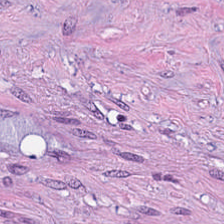H&E stain — Q: What tissue type is shown here?
A: This is desmoplastic stroma.
